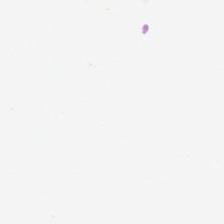224×224 pixel tile; hematoxylin and eosin; 20× equivalent magnification — Background — no tissue in this field.
